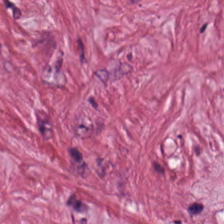Formalin-fixed paraffin-embedded section; H&E. Q: What type of tissue is this?
A: This is desmoplastic stroma.
